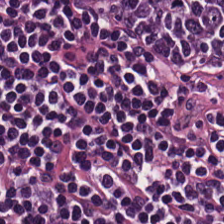H&E. {"tissue_type": "lymphoid infiltrate"}
